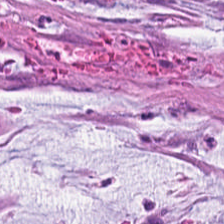H&E. Histology — mucin.
